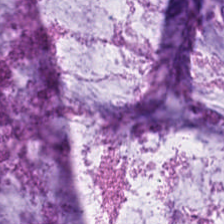Hematoxylin and eosin · 20× equivalent magnification. Predominantly mucus.
